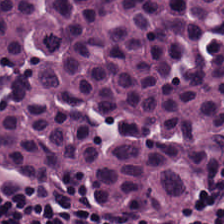Classification = lymphocytes.
